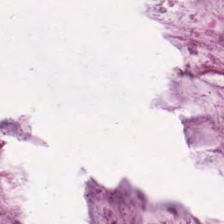Stain: hematoxylin-and-eosin stained section.
Resolution: 0.5 µm per pixel.
Tissue type: mucus.
